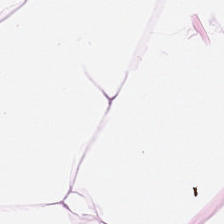Whole-slide-image patch. Hematoxylin and eosin.
The tissue here is adipocytes.
